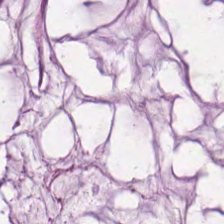Stain: H&E.
Tissue class: mucin.
